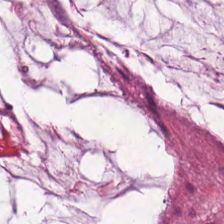Brightfield; 224×224 pixel tile; H&E — Tissue type = mucin.
